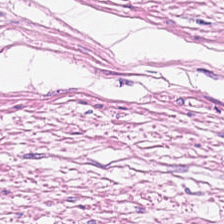Stain: H&E.
Tile size: 224×224 px patch.
Tissue type: smooth-muscle tissue.
